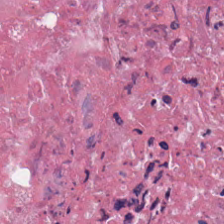Hematoxylin-and-eosin stained section — Classification — debris.
